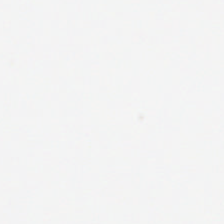Stain: H&E.
Classification: no tissue.
